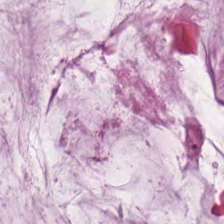Finding — extracellular mucin.
